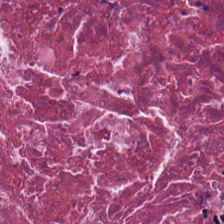Q: What tissue is shown?
A: Debris.
